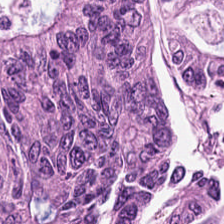{"tissue_type": "adenocarcinoma"}
